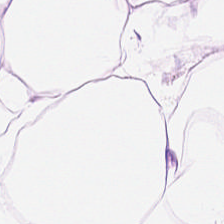Tissue — adipose tissue.
